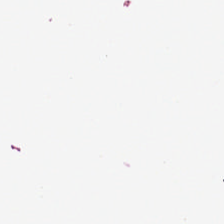224×224 px tile · 20× equivalent magnification · H&E-stained tissue section. Q: Classify this patch.
A: It is empty background.
